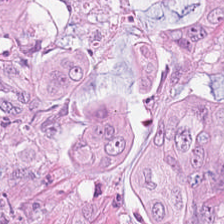Q: What is shown in this field?
A: Tumor epithelium.
